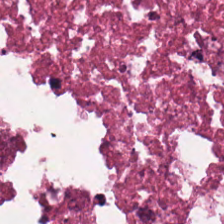H&E-stained tissue section; brightfield microscopy.
Tissue class = necrotic debris.
